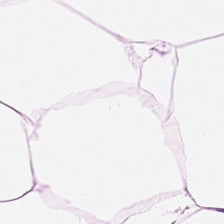224×224 px patch · H&E.
Predominant tissue: fat tissue.
